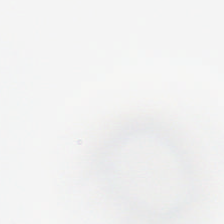H&E.
Empty field — background.
